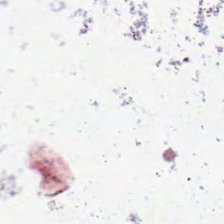Stain: hematoxylin and eosin.
Classification: background (no tissue).
